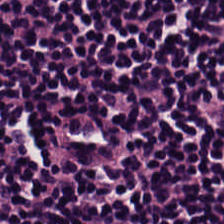224×224 px patch; H&E — {"tissue_type": "lymphoid infiltrate"}
